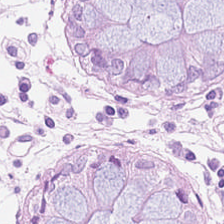Classification — benign colonic mucosa.
